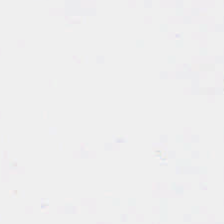H&E-stained tissue section · 0.5 µm per pixel.
This field is background (no tissue).
